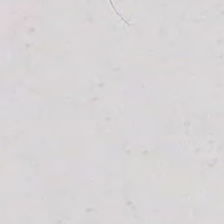Hematoxylin and eosin — The content is empty background.
